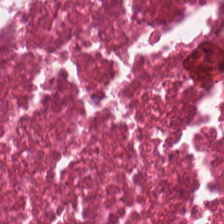224×224 px patch. H&E stain. 0.5 µm per pixel.
Tissue type = cellular debris.
